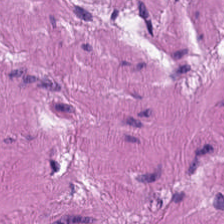H&E.
This patch shows smooth-muscle tissue.
